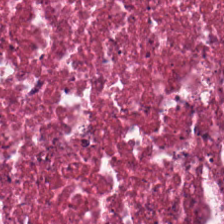H&E stain; brightfield — This patch shows cellular debris.
